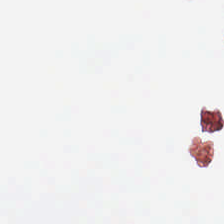This field is background (no tissue).
